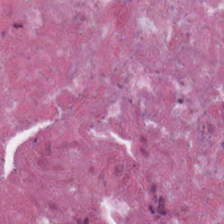H&E stain; brightfield.
The predominant tissue is debris.
